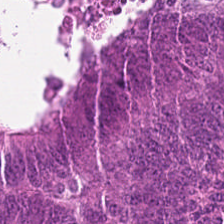H&E stain. FFPE tissue section.
Predominantly tumor epithelium.
